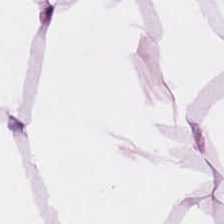{"tissue_type": "adipose tissue"}
